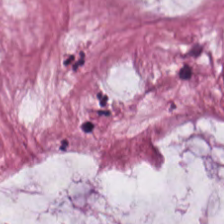Stain: H&E-stained tissue section.
Preparation: formalin-fixed paraffin-embedded section.
Tissue: extracellular mucin.
